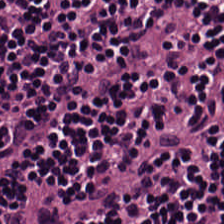Hematoxylin-and-eosin stained section.
The tissue here is lymphoid infiltrate.
